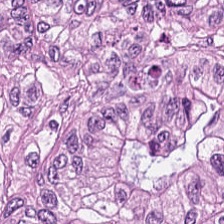The predominant tissue is malignant epithelium.
